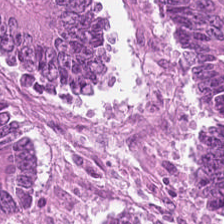H&E-stained tissue section — Tissue type — tumor epithelium.
